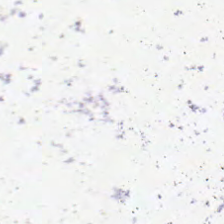Whole-slide-image patch; hematoxylin-and-eosin stained section; 0.5 µm per pixel. {"content": "background"}
